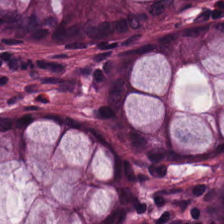Hematoxylin and eosin. Showing normal colon mucosa.
